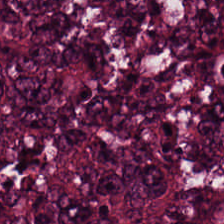Stain: H&E stain.
Tile size: 224×224 px tile.
Resolution: 0.5 µm per pixel.
Classification: adenocarcinoma.
